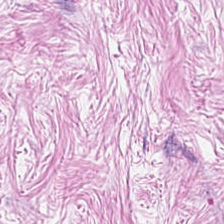This patch shows cancer-associated stroma.
